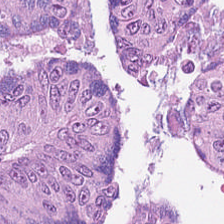Hematoxylin-and-eosin stained section. Predominant tissue = malignant epithelium.
